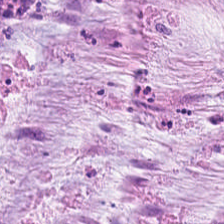WSI patch; FFPE; H&E-stained tissue section. Tissue type = extracellular mucin.
